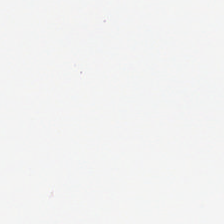Background — no tissue in this field.
